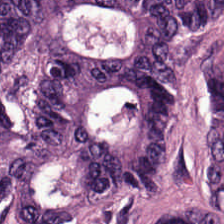Stain: hematoxylin-and-eosin stained section.
Tissue class: tumor epithelium.
